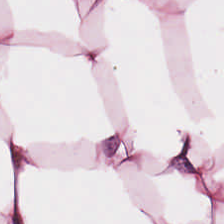Brightfield microscopy; H&E stain. Predominant tissue = adipose tissue.
